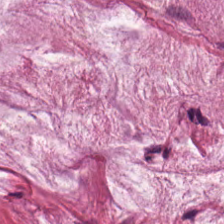Q: What type of tissue is this?
A: Mucin.
